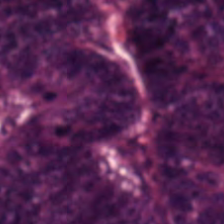224×224 px patch · hematoxylin and eosin · brightfield.
Q: What type of tissue is this?
A: Adenocarcinoma.
